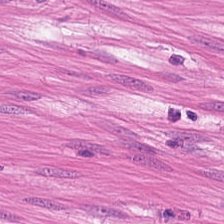H&E — The predominant tissue is smooth muscle.
